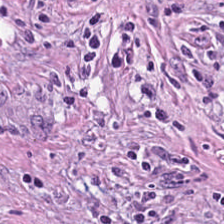H&E-stained tissue section.
Predominant tissue: tumor stroma.
